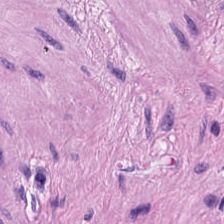H&E — Q: Identify the tissue.
A: It is smooth-muscle tissue.
